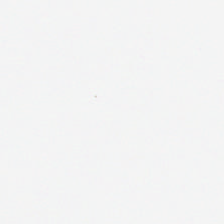H&E; formalin-fixed paraffin-embedded section. Content = background.
